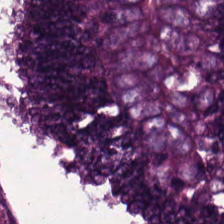Stain: hematoxylin-and-eosin stained section.
Classification: tumor epithelium.
